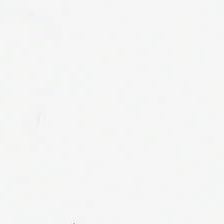H&E-stained tissue section.
No tissue present; background only.
